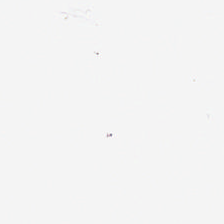Hematoxylin and eosin · 224×224 px patch. Q: What is shown here?
A: Background (no tissue).
